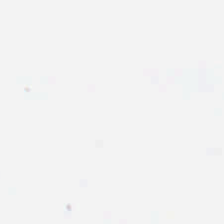H&E. No tissue.
